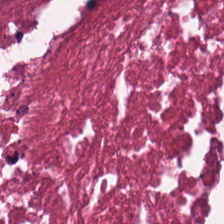Brightfield microscopy · hematoxylin and eosin.
Tissue = debris.
